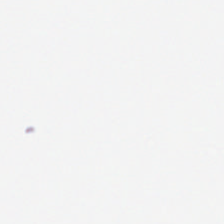224×224 px patch; hematoxylin-and-eosin stained section; whole-slide-image patch — Background.
